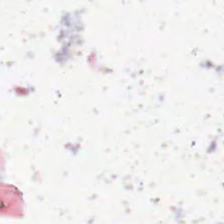H&E-stained tissue section; WSI patch.
Q: What is shown here?
A: Background (no tissue).
